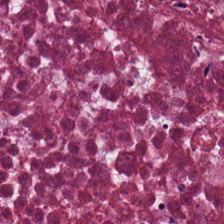H&E-stained tissue section; brightfield — Finding → debris.
